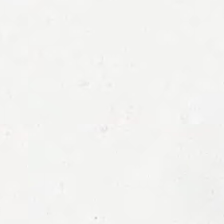This field is background (no tissue).
